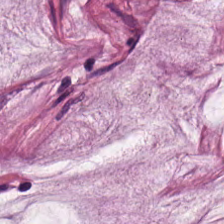WSI patch · H&E-stained tissue section. Q: What tissue is shown?
A: This is mucus.
